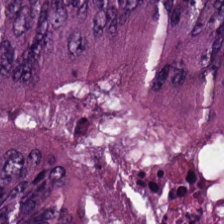H&E-stained section; the field shows colorectal adenocarcinoma.
